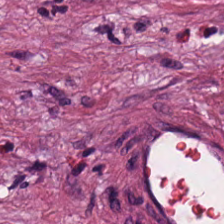224×224 px tile; H&E. Tissue type: tumor-associated stroma.
